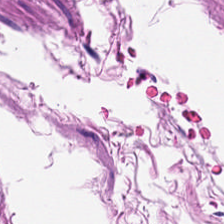Smooth-muscle tissue.
